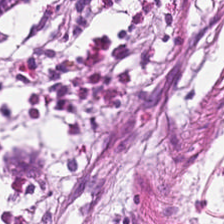Hematoxylin-and-eosin stained section.
Q: What is shown here?
A: The field shows normal colon mucosa.
